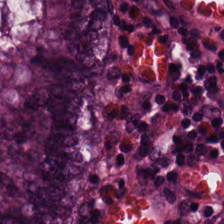WSI patch · 0.5 microns per pixel · H&E.
Q: What does this patch show?
A: It is normal colonic mucosa.
